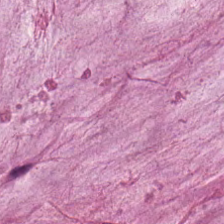224×224 pixel tile · H&E.
The tissue is mucus.
